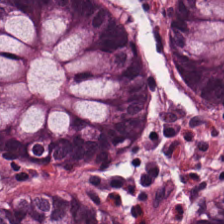224×224 px tile. Hematoxylin and eosin.
This field is normal colonic mucosa.
